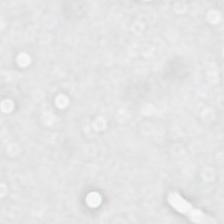Hematoxylin and eosin — Histology — background (no tissue).
